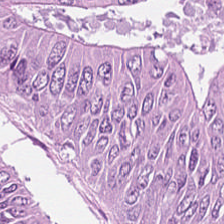Hematoxylin and eosin.
Tissue class: colorectal adenocarcinoma.
